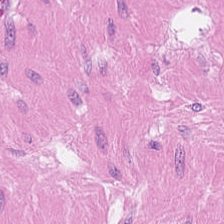Brightfield microscopy · hematoxylin-and-eosin stained section · 0.5 microns per pixel — Smooth muscle.
